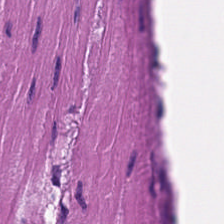Hematoxylin and eosin; formalin-fixed paraffin-embedded section — Q: What is shown here?
A: Smooth muscle.
